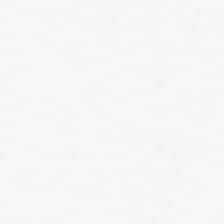Hematoxylin and eosin. Content: no tissue.
